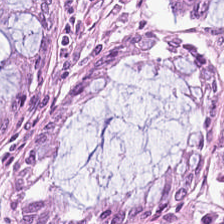H&E stain. Tissue type — benign colonic mucosa.
